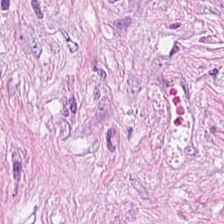Stain: hematoxylin and eosin.
Tissue: tumor stroma.
